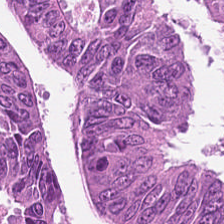0.5 µm/px. H&E. 224×224 pixel tile. Predominantly tumor epithelium.
